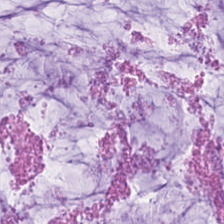Stain: H&E.
Tissue type: extracellular mucin.
